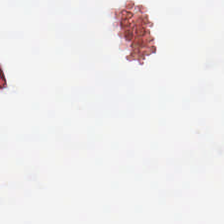H&E-stained tissue section; 20× equivalent magnification — This field is background (no tissue).
